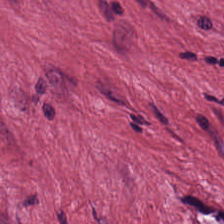The tissue here is tumor-associated stroma.
